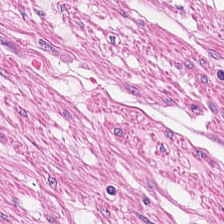H&E patch showing muscularis.
